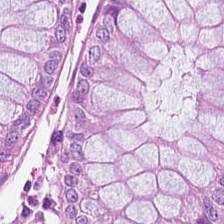224×224 px tile · brightfield microscopy · H&E-stained tissue section — Showing non-neoplastic colon mucosa.
